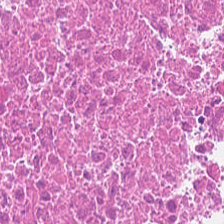Stain: hematoxylin and eosin.
Tissue: cellular debris.
